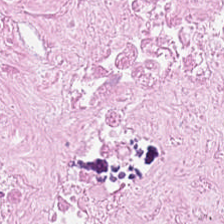Hematoxylin-and-eosin stained section.
This patch shows cellular debris.
